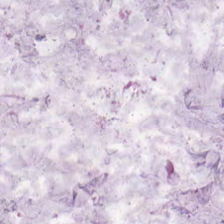The predominant tissue is mucin.
